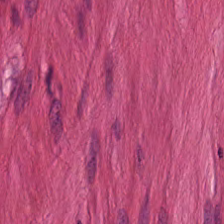Hematoxylin and eosin.
The predominant tissue is smooth muscle.
